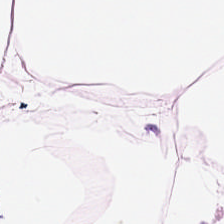Tissue class: adipocytes.
